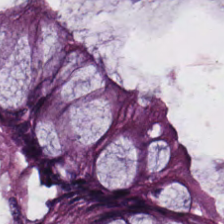Hematoxylin and eosin; FFPE. Histology → normal colon mucosa.
